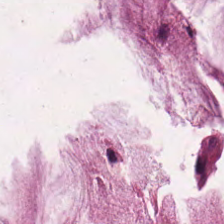Stain: H&E-stained tissue section.
Predominant tissue: mucus.
